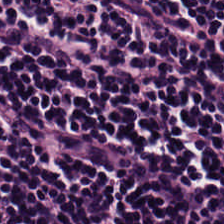Impression → lymphoid infiltrate.
